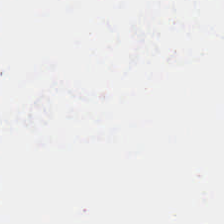Whole-slide-image patch; H&E. This field is background (no tissue).
